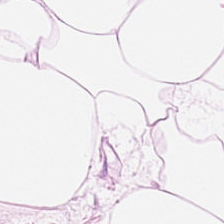Hematoxylin-and-eosin section: adipose tissue.
